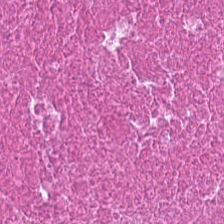This patch shows debris.
